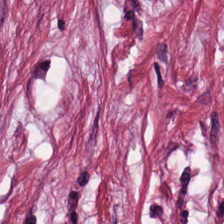Predominant tissue: tumor stroma.
